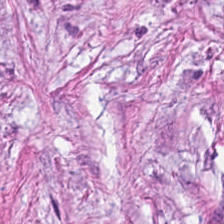Hematoxylin-and-eosin stained section; 224×224 px patch; FFPE.
Tumor-associated stroma.
